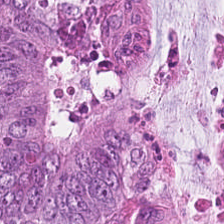H&E stain — The tissue here is colorectal adenocarcinoma epithelium.
